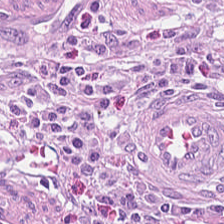Hematoxylin-and-eosin stained section. {"tissue_type": "tumor stroma"}
